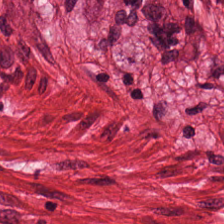H&E-stained tissue section. Muscularis.
